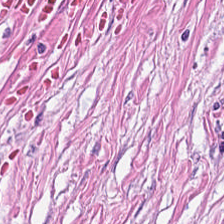H&E.
{"tissue_type": "tumor-associated stroma"}
